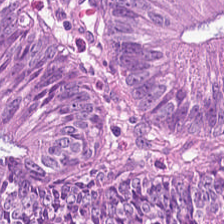224×224 px patch; hematoxylin and eosin.
This patch shows adenocarcinoma.
